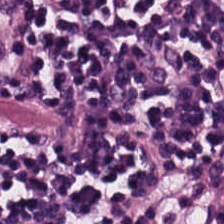Hematoxylin and eosin · 224×224 px patch.
Showing lymphocyte aggregate.
